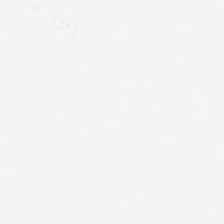Field content = empty background.
